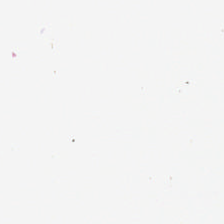H&E-stained tissue section. Q: Classify this patch.
A: No tissue.
